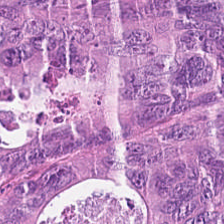H&E. Finding → tumor epithelium.
